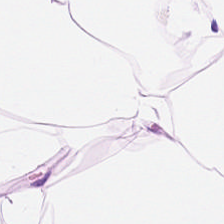H&E — Tissue class: adipose tissue.
